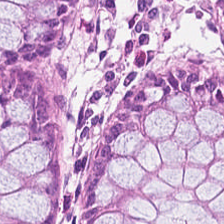Stain: H&E.
Predominant tissue: non-neoplastic colon mucosa.
